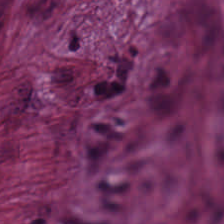H&E-stained tissue section showing desmoplastic stroma.
